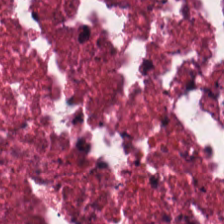This patch shows cellular debris.
